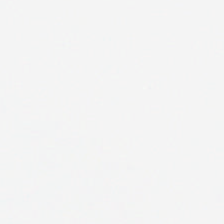H&E stain. Impression — background (no tissue).
